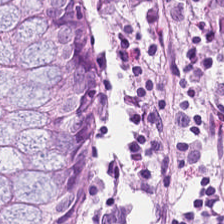H&E — normal colon mucosa.
